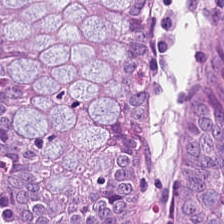H&E — benign colonic mucosa.
